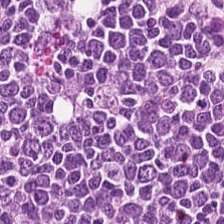H&E.
Q: What type of tissue is this?
A: This is lymphocytes.
